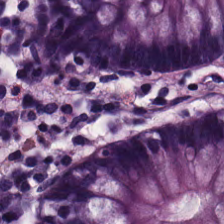0.5 µm per pixel · H&E-stained tissue section.
Predominantly benign colonic mucosa.
